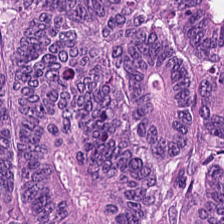H&E.
Classification: colorectal adenocarcinoma epithelium.
